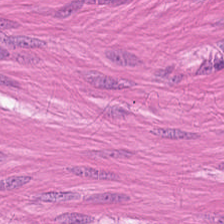0.5 µm per pixel; whole-slide-image patch; H&E.
Showing muscularis.
